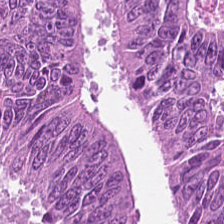Hematoxylin and eosin.
This field is adenocarcinoma.
